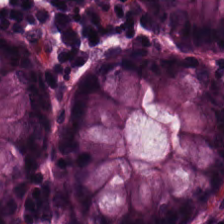H&E — normal colon mucosa.
